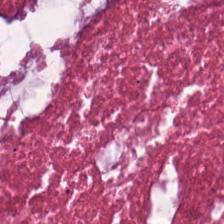Hematoxylin and eosin.
This patch shows cellular debris.
